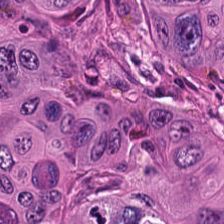The tissue is colorectal adenocarcinoma epithelium.
